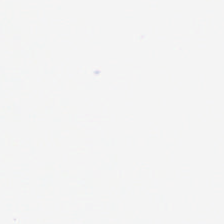Hematoxylin-and-eosin stained section. Empty field — background (no tissue).
